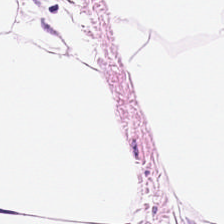Stain: hematoxylin-and-eosin stained section.
Tissue: adipose tissue.
